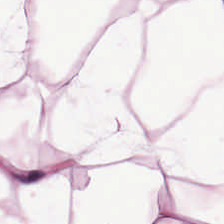H&E — This patch shows adipose tissue.
